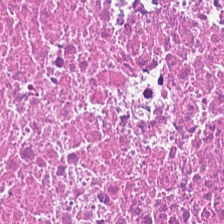Q: What tissue type is shown here?
A: Debris.
